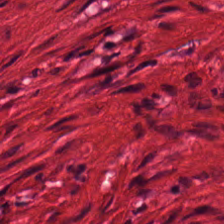Hematoxylin-and-eosin stained section. {"tissue_type": "smooth muscle"}
